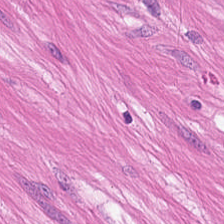{"tissue_type": "muscularis"}
